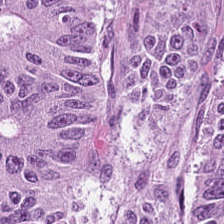Hematoxylin and eosin. Brightfield microscopy. 20× equivalent magnification. {"tissue_type": "malignant epithelium"}
